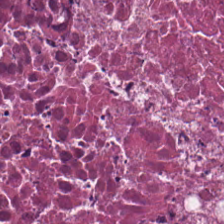H&E stain. 224×224 px tile — This patch shows debris.
